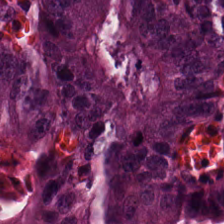H&E stain — This patch shows tumor epithelium.
